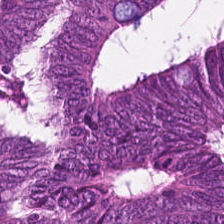H&E. WSI patch.
Showing colorectal adenocarcinoma epithelium.
